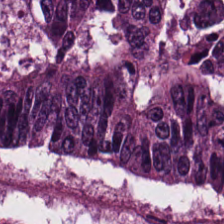Brightfield · H&E stain. {"tissue_type": "adenocarcinoma"}
